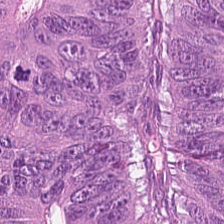Hematoxylin-and-eosin stained section; FFPE.
Q: What does this patch show?
A: This is malignant epithelium.
